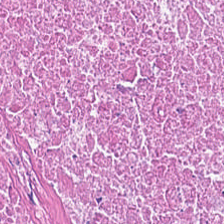H&E — Predominantly necrotic debris.
